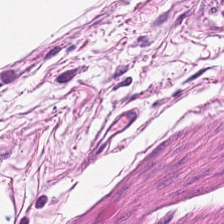Hematoxylin and eosin. 224×224 pixel tile. Brightfield microscopy.
Tissue type — muscularis.
